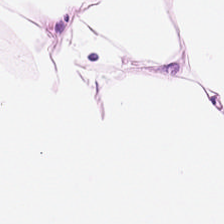0.5 µm per pixel; H&E stain; 224×224 px patch. Histology → adipose.
